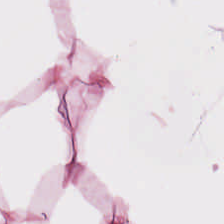0.5 µm/px. H&E.
Histology → adipose.
